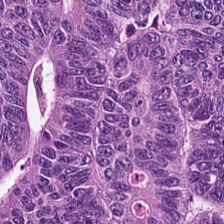The predominant tissue is adenocarcinoma.
